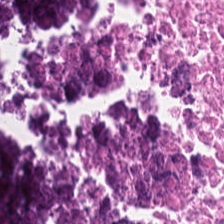Hematoxylin-and-eosin section: cellular debris.
